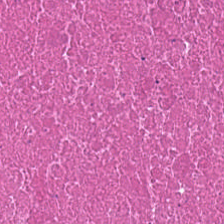Classification = debris.
